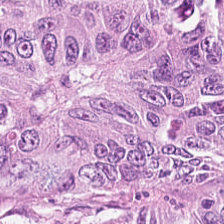Hematoxylin-and-eosin stained section. 224×224 pixel tile — Tissue type — colorectal adenocarcinoma epithelium.
